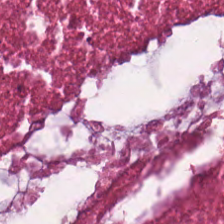The tissue here is necrotic debris.
